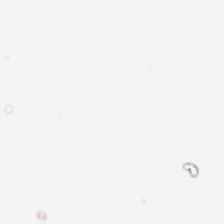No tissue present; background only.
